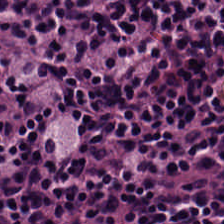Whole-slide-image patch; H&E stain. {"tissue_type": "lymphocytic infiltrate"}
